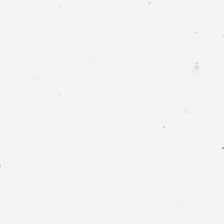224×224 px tile. FFPE. H&E-stained tissue section — Classification = empty background.
